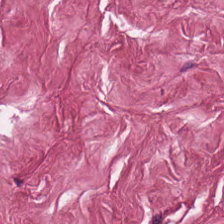224×224 px patch · brightfield microscopy · H&E — Showing desmoplastic stroma.
